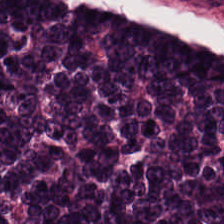H&E-stained tissue section · whole-slide-image patch — Histology → colorectal adenocarcinoma.
